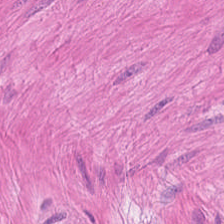Formalin-fixed paraffin-embedded section; H&E; 20× equivalent magnification. The predominant tissue is muscularis.
